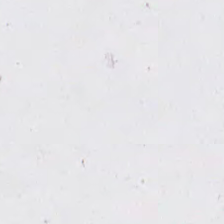Hematoxylin-and-eosin stained section.
Background (no tissue).
